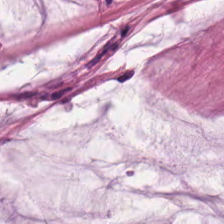Brightfield; H&E-stained tissue section. Tissue type: mucin.
